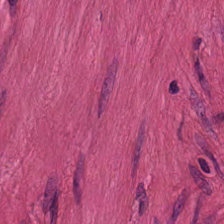Predominantly smooth muscle.
